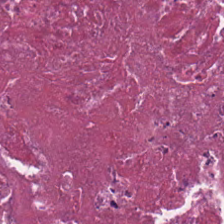Brightfield · hematoxylin and eosin. Q: What is the predominant tissue type?
A: This is debris.
